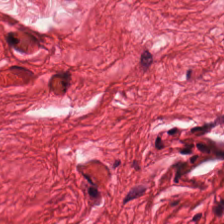Hematoxylin-and-eosin stained section. Tissue — smooth muscle.
